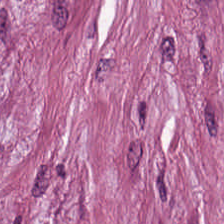Hematoxylin and eosin. Showing desmoplastic stroma.
